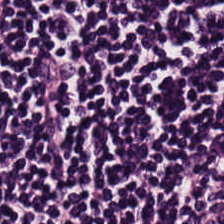Hematoxylin and eosin.
Q: Identify the tissue.
A: This is lymphocytes.
